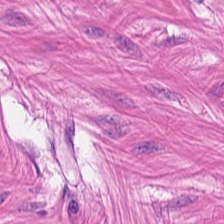H&E — smooth muscle.
